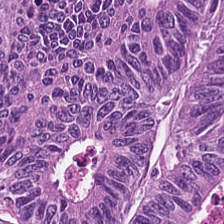Hematoxylin-and-eosin stained section.
This patch shows malignant epithelium.
